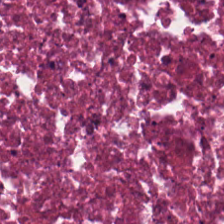0.5 µm per pixel. FFPE. H&E-stained tissue section.
The tissue class is debris.
